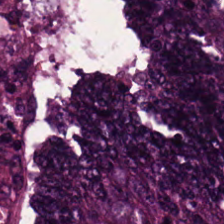Formalin-fixed paraffin-embedded section. Hematoxylin-and-eosin stained section — The predominant tissue is adenocarcinoma.
